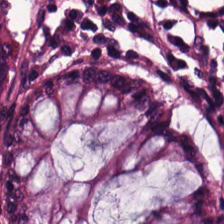Finding — normal colonic mucosa.
